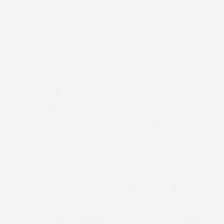Impression → background (no tissue).
